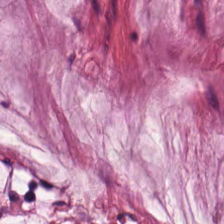Hematoxylin and eosin — Showing mucin.
